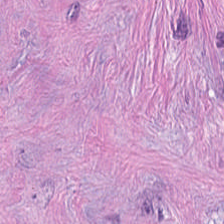H&E stain.
The tissue here is tumor-associated stroma.
